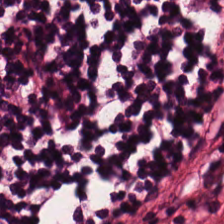{"tissue_type": "lymphocyte aggregate"}
